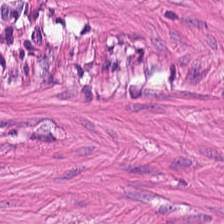224×224 px tile. Hematoxylin-and-eosin stained section — {"tissue_type": "smooth-muscle tissue"}
